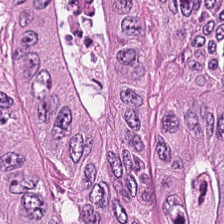224×224 px patch. Whole-slide-image patch. H&E — Tissue class = adenocarcinoma.
